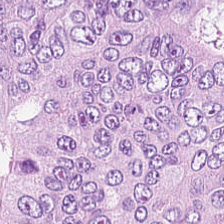H&E stain. The tissue type is colorectal adenocarcinoma.
